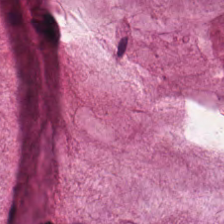H&E stain — The tissue here is extracellular mucin.
